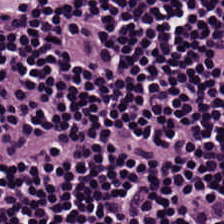H&E-stained tissue section — Finding → lymphocytic infiltrate.
